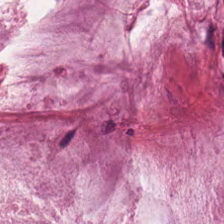This field is mucin.
